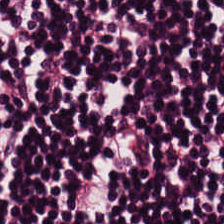Hematoxylin-and-eosin stained section. The tissue here is lymphocyte aggregate.
